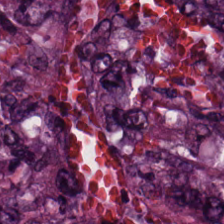H&E stain.
Predominantly adenocarcinoma.
